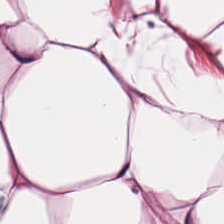H&E — adipose.
